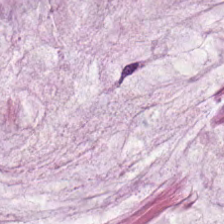224×224 px patch. FFPE. H&E stain. Tissue — mucin.
